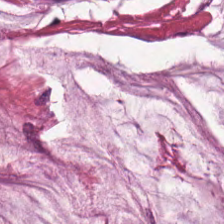Stain: hematoxylin and eosin.
Classification: extracellular mucin.
